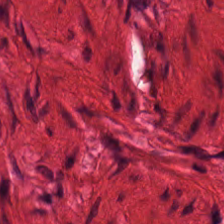Stain: H&E.
Tissue type: muscularis.
